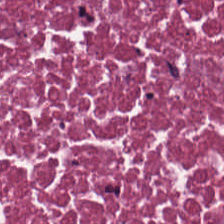H&E stain.
Tissue type: cellular debris.
